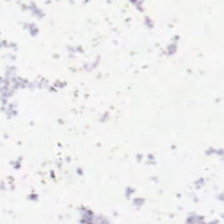H&E-stained tissue section. Classification: empty background.
